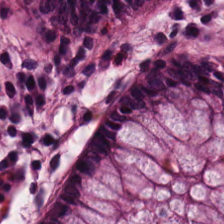Brightfield. Hematoxylin-and-eosin stained section — The predominant tissue is benign colonic mucosa.
